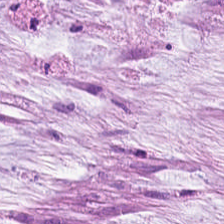Hematoxylin and eosin.
Impression — mucin.
